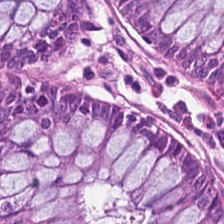Hematoxylin-and-eosin stained section. Q: Classify this patch.
A: This is normal colonic mucosa.
